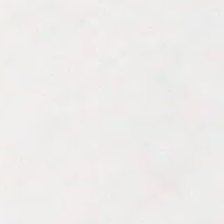Brightfield; formalin-fixed paraffin-embedded section; hematoxylin-and-eosin stained section — {"content": "no tissue"}
